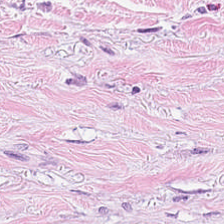Stain: H&E stain.
Preparation: FFPE tissue section.
Tissue class: desmoplastic stroma.
